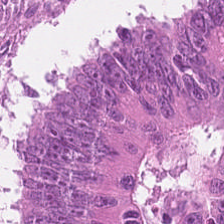The predominant tissue is colorectal adenocarcinoma.
